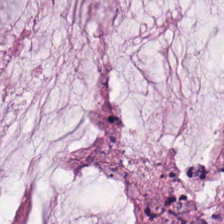Hematoxylin-and-eosin stained section. This patch shows extracellular mucin.
